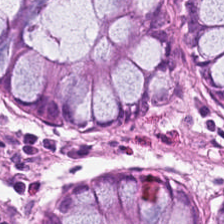Showing non-neoplastic colon mucosa.
